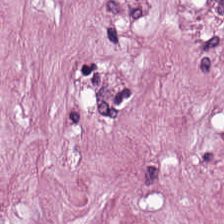FFPE tissue section · hematoxylin and eosin · 224×224 pixel tile. This patch shows tumor stroma.
